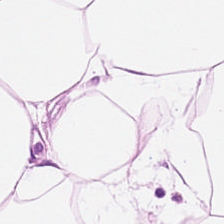0.5 µm/px. FFPE tissue section. H&E. Q: What is shown here?
A: Adipose tissue.
